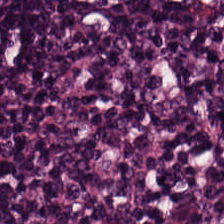0.5 µm/px · hematoxylin-and-eosin stained section — Classification: lymphocyte aggregate.
